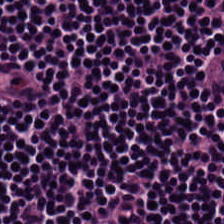H&E — lymphoid infiltrate.
